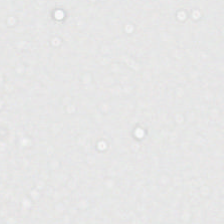H&E.
Field content = empty background.
